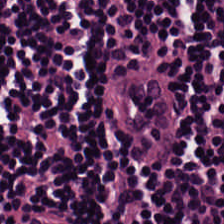H&E. Lymphocyte aggregate.
